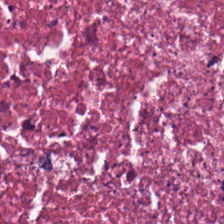0.5 µm per pixel · hematoxylin and eosin.
Predominantly cellular debris.
